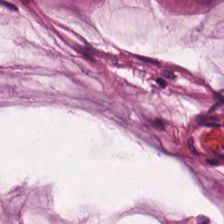Stain: hematoxylin-and-eosin stained section.
Predominant tissue: mucus.
